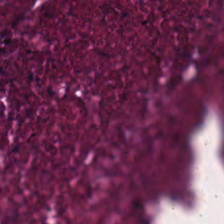H&E stain. Q: Identify the tissue.
A: Necrotic debris.
